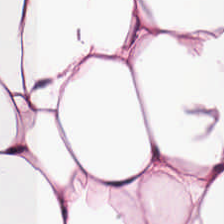The tissue type is adipocytes.
